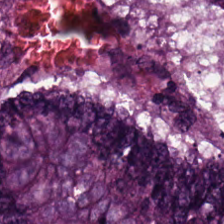Hematoxylin-and-eosin stained section. Q: What type of tissue is this?
A: It is colorectal adenocarcinoma.
